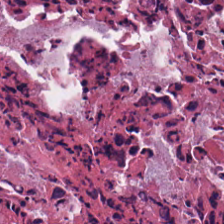Hematoxylin and eosin; 224×224 px patch.
Tissue type — necrotic debris.
